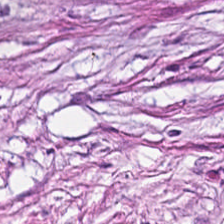Hematoxylin-and-eosin stained section · 0.5 µm per pixel. The predominant tissue is desmoplastic stroma.
